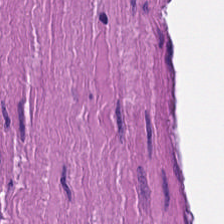Finding → smooth muscle.
